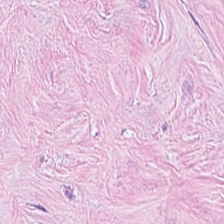FFPE · H&E-stained tissue section — The predominant tissue is tumor-associated stroma.
